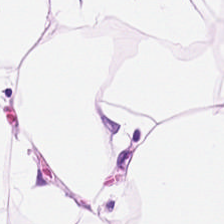Adipocytes.
